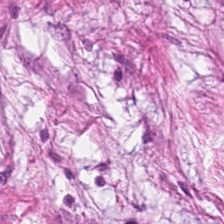Stain: H&E-stained tissue section.
Resolution: 0.5 µm/px.
Tissue class: tumor stroma.
